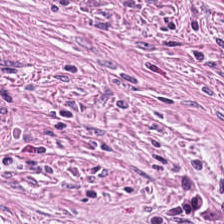Classification — desmoplastic stroma.
